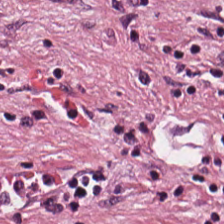H&E stain. 0.5 µm/px — Predominant tissue: tumor-associated stroma.
